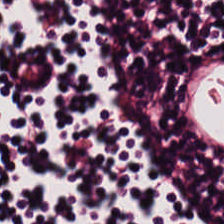Brightfield microscopy; H&E-stained tissue section. Classification: lymphocytes.
